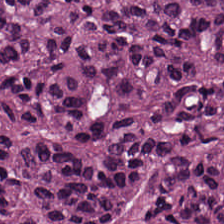H&E. Impression → malignant epithelium.
